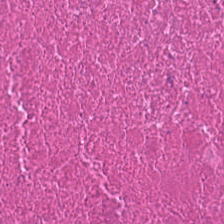224×224 pixel tile. H&E stain — The predominant tissue is necrotic debris.
